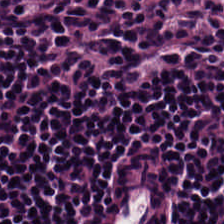Hematoxylin and eosin · 224×224 px patch. Classification: lymphoid infiltrate.
